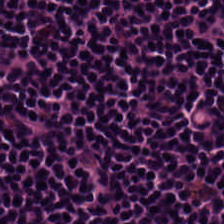Predominantly lymphocytic infiltrate.
